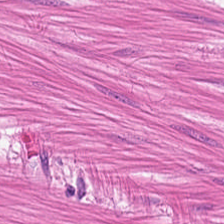Hematoxylin and eosin · whole-slide-image patch · 0.5 µm per pixel. Predominant tissue = muscularis.
